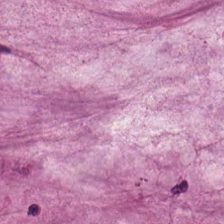Hematoxylin-and-eosin stained section. The tissue here is extracellular mucin.
